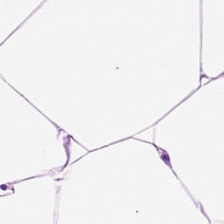{"tissue_type": "fat tissue"}
